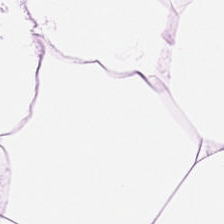H&E · 0.5 µm per pixel. Q: What tissue is shown?
A: It is adipose tissue.
